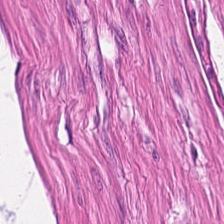Tissue: smooth muscle.
